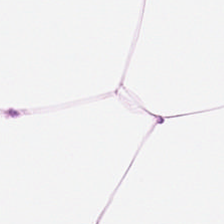Hematoxylin-and-eosin stained section.
Predominantly fat tissue.
